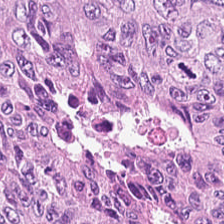H&E stain.
Classification — tumor epithelium.
